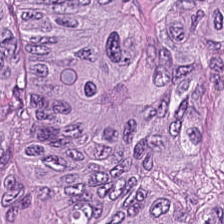Stain: hematoxylin and eosin.
Resolution: 0.5 microns per pixel.
Preparation: formalin-fixed paraffin-embedded section.
Tissue: tumor epithelium.
